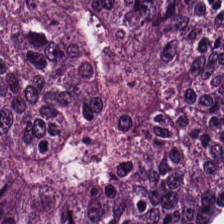H&E patch showing malignant epithelium.
